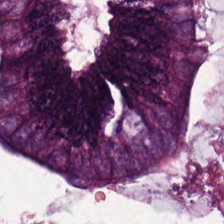H&E stain. Predominantly colorectal adenocarcinoma.
